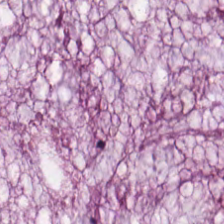Hematoxylin and eosin — Tissue = extracellular mucin.
